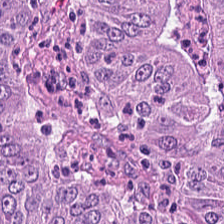H&E-stained tissue section; 0.5 microns per pixel; 224×224 px patch.
Tissue class — colorectal adenocarcinoma epithelium.
